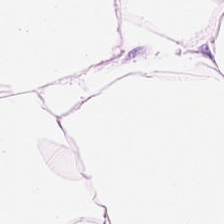H&E-stained tissue section.
Q: What tissue is shown?
A: Adipose tissue.
